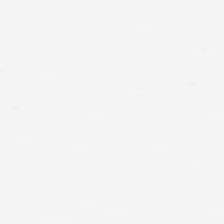224×224 px tile; hematoxylin and eosin; 20× equivalent magnification — Field content = background (no tissue).
